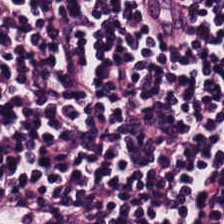Hematoxylin and eosin; 0.5 microns per pixel. The classification is lymphocytes.
